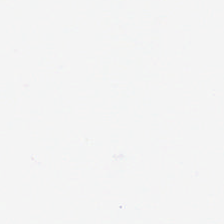H&E. Field content — background (no tissue).
